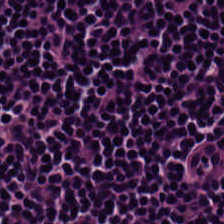Predominant tissue: lymphoid infiltrate.
